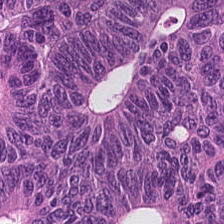H&E stain — Predominantly colorectal adenocarcinoma epithelium.
